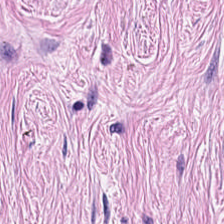H&E stain.
Classification = tumor-associated stroma.
